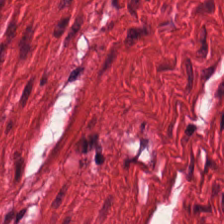Hematoxylin and eosin · WSI patch · 0.5 microns per pixel.
Predominant tissue: smooth-muscle tissue.
